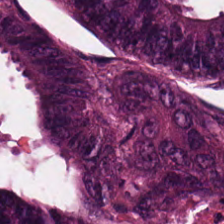H&E stain; FFPE tissue section. Q: What is shown here?
A: This is adenocarcinoma.
